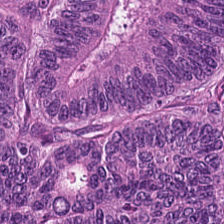Formalin-fixed paraffin-embedded section · H&E · 224×224 pixel tile. Finding — colorectal adenocarcinoma epithelium.
